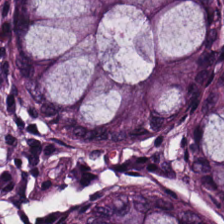H&E. This patch shows non-neoplastic colon mucosa.
